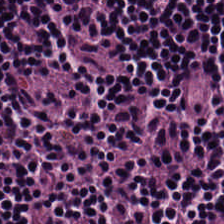224×224 px patch. Hematoxylin-and-eosin stained section. The predominant tissue is lymphocytic infiltrate.
